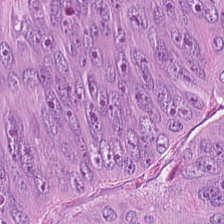WSI patch. H&E. Q: What type of tissue is this?
A: It is colorectal adenocarcinoma epithelium.
